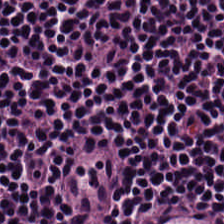Tissue class: lymphocytes.
